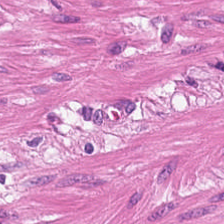Stain: hematoxylin and eosin.
Preparation: FFPE tissue section.
Tissue type: muscularis.
